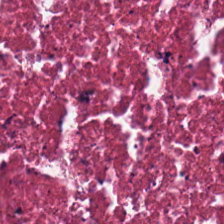H&E-stained tissue section — This field is cellular debris.
